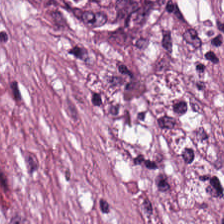Classification = cancer-associated stroma.
